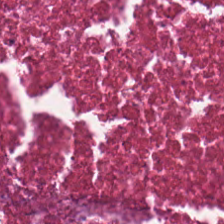Stain: H&E-stained tissue section.
Preparation: formalin-fixed paraffin-embedded section.
Predominant tissue: cellular debris.
